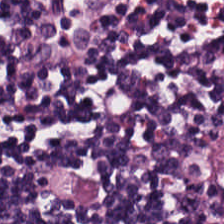Histology — lymphocyte aggregate.
